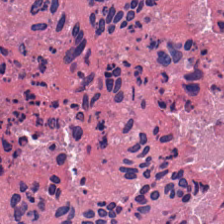Formalin-fixed paraffin-embedded section; whole-slide-image patch; H&E stain. {"tissue_type": "cellular debris"}
